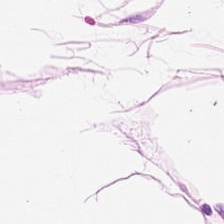H&E stain. Brightfield. The predominant tissue is adipose tissue.
